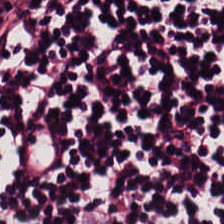H&E.
Tissue — lymphoid infiltrate.
